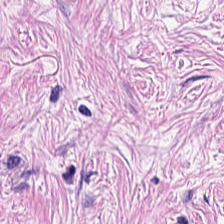224×224 pixel tile · H&E-stained tissue section.
Predominantly desmoplastic stroma.
